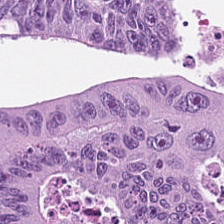Showing colorectal adenocarcinoma.
